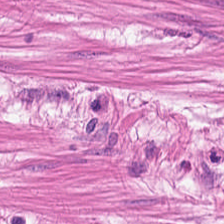Hematoxylin and eosin. Histology → smooth muscle.
